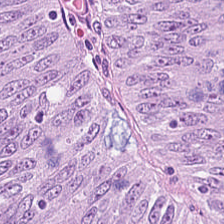Stain: H&E stain.
Classification: colorectal adenocarcinoma.
